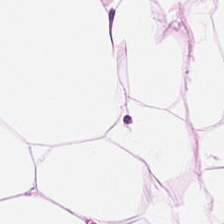Hematoxylin-and-eosin stained section. The predominant tissue is adipose.
